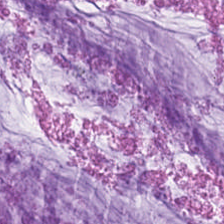Stain: hematoxylin-and-eosin stained section.
Resolution: 0.5 µm per pixel.
Classification: mucin.
